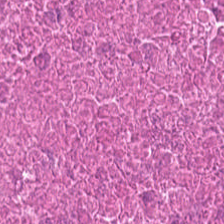Formalin-fixed paraffin-embedded section. 0.5 µm/px. Hematoxylin-and-eosin stained section. Impression — debris.
